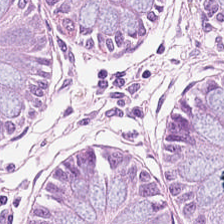H&E — Q: What does this patch show?
A: This is benign colonic mucosa.
